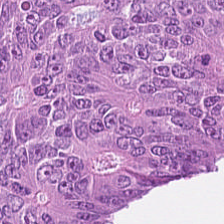H&E. FFPE tissue section.
Adenocarcinoma.
